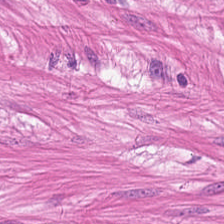Hematoxylin and eosin. FFPE. Finding — smooth-muscle tissue.
